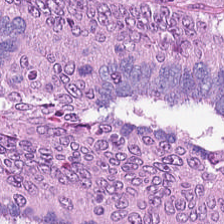H&E. This patch shows malignant epithelium.
